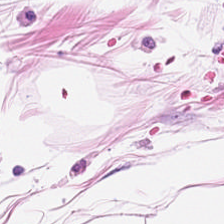Classification = adipose tissue.
